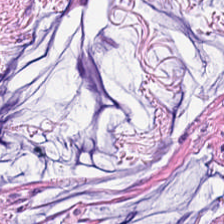H&E; formalin-fixed paraffin-embedded section — The tissue class is desmoplastic stroma.
